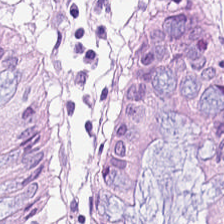H&E stain. Predominantly benign colonic mucosa.
